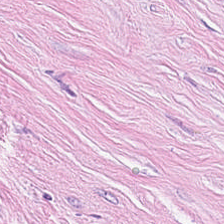This field is tumor stroma.
